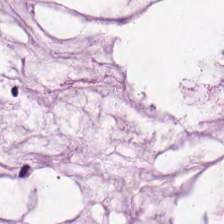Hematoxylin-and-eosin stained section; brightfield — {"tissue_type": "mucus"}
